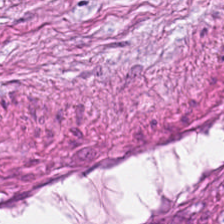H&E-stained tissue section showing tumor-associated stroma.
